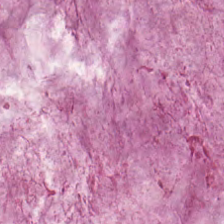H&E-stained tissue section.
The tissue type is mucin.
